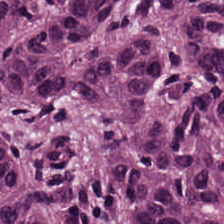Impression → adenocarcinoma.
